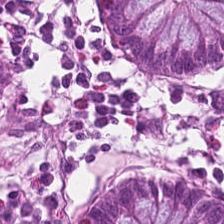Hematoxylin-and-eosin stained section — Showing normal colon mucosa.
